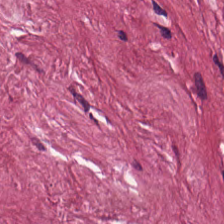Stain: hematoxylin-and-eosin stained section.
Tile size: 224×224 px patch.
Acquisition: brightfield.
Predominant tissue: tumor stroma.
